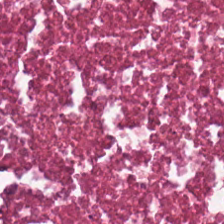Whole-slide-image patch; H&E stain. Histology → debris.
